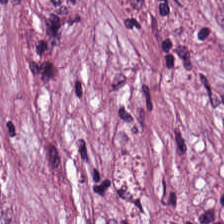Hematoxylin-and-eosin stained section; formalin-fixed paraffin-embedded section.
Q: What is the predominant tissue type?
A: This is desmoplastic stroma.
